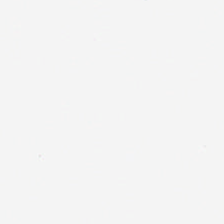Stain: H&E.
Classification: background.
